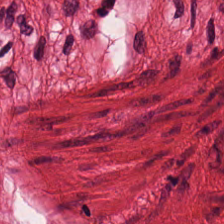0.5 µm per pixel. H&E — The tissue class is smooth-muscle tissue.
